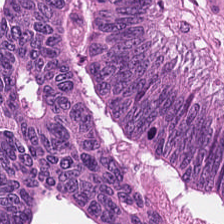Hematoxylin-and-eosin stained section; 224×224 px patch. Predominantly colorectal adenocarcinoma epithelium.
